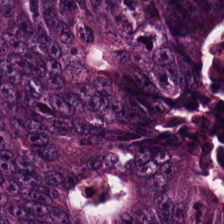Hematoxylin and eosin. Q: What tissue type is shown here?
A: It is tumor epithelium.
